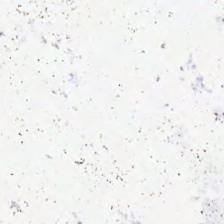Hematoxylin-and-eosin stained section.
Impression — no tissue.
